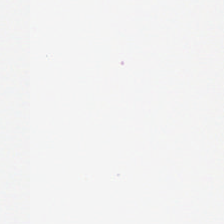224×224 px patch. H&E-stained tissue section. 20× equivalent magnification — Field content — empty background.
